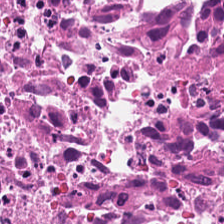H&E — Tissue class = necrotic debris.
